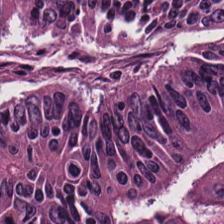Impression — colorectal adenocarcinoma epithelium.
